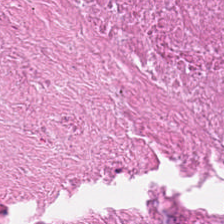H&E — cellular debris.
